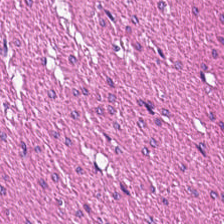H&E stain. FFPE tissue section. Muscularis.
